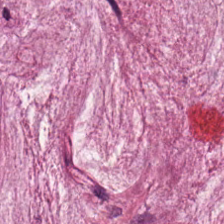224×224 pixel tile; hematoxylin and eosin. Histology → extracellular mucin.
